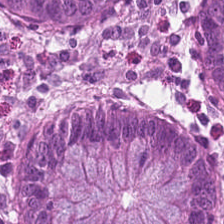H&E-stained tissue section · formalin-fixed paraffin-embedded section · 0.5 microns per pixel — Showing normal colonic mucosa.
